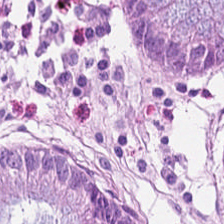Hematoxylin and eosin. Brightfield. 20× equivalent magnification.
The tissue class is normal colonic mucosa.
